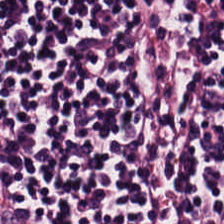Formalin-fixed paraffin-embedded section · hematoxylin and eosin.
Showing lymphocytic infiltrate.
